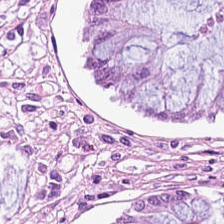H&E-stained tissue section; brightfield microscopy — Showing non-neoplastic colon mucosa.
